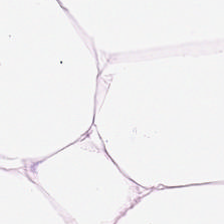Stain: H&E stain.
Tissue class: adipose.
